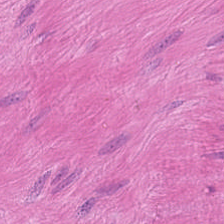This field is muscularis.
